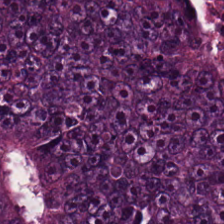Hematoxylin-and-eosin stained section. The tissue is colorectal adenocarcinoma epithelium.
